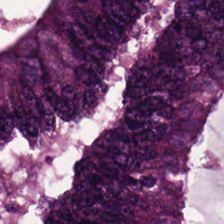Impression — colorectal adenocarcinoma.
